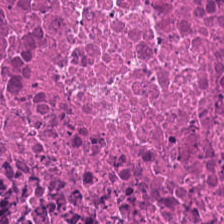H&E-stained tissue section showing necrotic debris.
